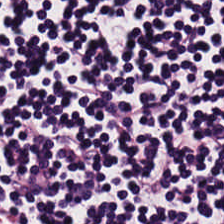H&E stain; 0.5 microns per pixel. The predominant tissue is lymphocyte aggregate.
